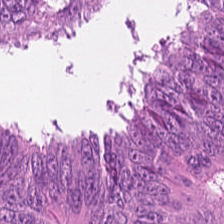Hematoxylin-and-eosin stained section — Tissue class — colorectal adenocarcinoma.
